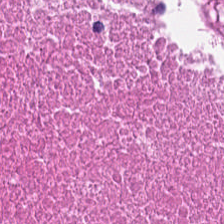Hematoxylin and eosin. Q: What is shown here?
A: Necrotic debris.
